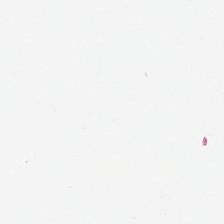FFPE. Brightfield microscopy. Hematoxylin-and-eosin stained section — This patch shows no tissue.
